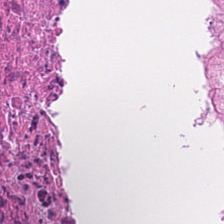Stain: H&E stain.
Preparation: FFPE tissue section.
Tile size: 224×224 px tile.
Tissue type: debris.
